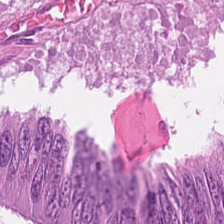224×224 px tile · hematoxylin and eosin.
Tissue class = colorectal adenocarcinoma epithelium.
